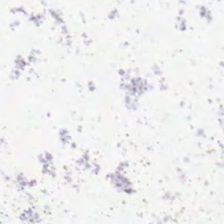20× equivalent magnification. Hematoxylin-and-eosin stained section — Q: Classify this patch.
A: The field shows background (no tissue).
